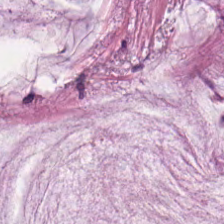Histology — extracellular mucin.
